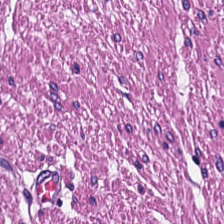Classification — muscularis.
